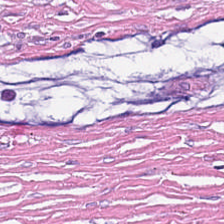The classification is desmoplastic stroma.
